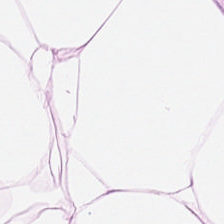Hematoxylin and eosin — Q: What is shown here?
A: This is adipose tissue.
